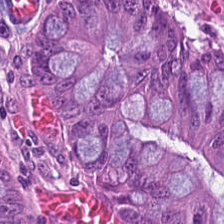H&E-stained section; the field shows adenocarcinoma.
